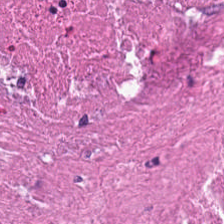WSI patch · hematoxylin-and-eosin stained section. Impression → cellular debris.
